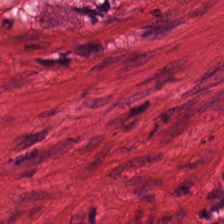H&E stain; formalin-fixed paraffin-embedded section — Tissue class — muscularis.
